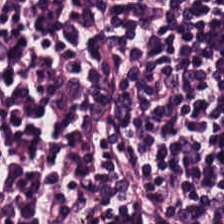Hematoxylin and eosin. Classification — lymphocytic infiltrate.
